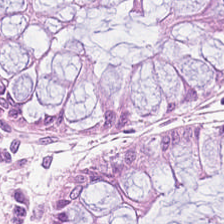Stain: H&E.
Classification: normal colonic mucosa.
